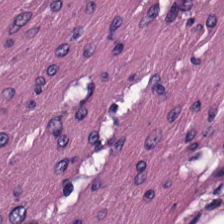Stain: hematoxylin-and-eosin stained section.
Preparation: FFPE tissue section.
Acquisition: brightfield microscopy.
Tissue class: smooth muscle.
